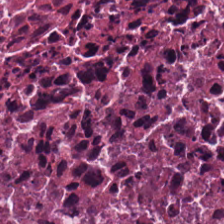Stain: H&E.
Tile size: 224×224 pixel tile.
Classification: cellular debris.
